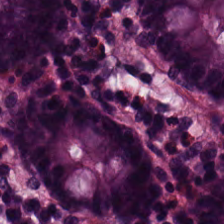Finding → non-neoplastic colon mucosa.
